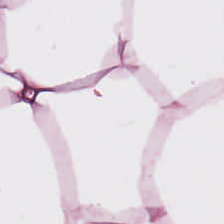H&E-stained section; the field shows adipocytes.
